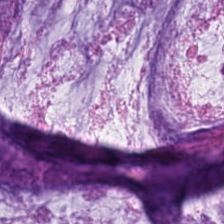Hematoxylin-and-eosin stained section. Q: What type of tissue is this?
A: Mucin.
